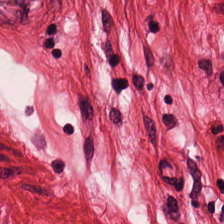H&E-stained tissue section · brightfield — Classification: muscularis.
